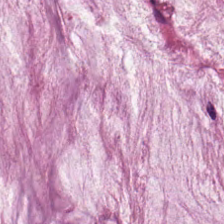H&E-stained tissue section.
Q: What type of tissue is this?
A: It is mucin.
